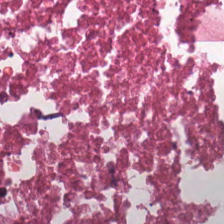Stain: H&E-stained tissue section.
Preparation: formalin-fixed paraffin-embedded section.
Tissue: necrotic debris.
